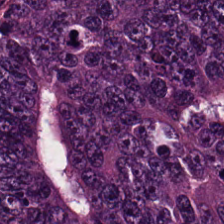H&E-stained tissue section showing tumor epithelium.
